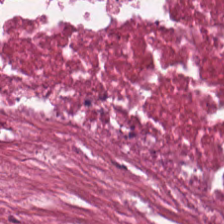Hematoxylin-and-eosin stained section — Tissue = necrotic debris.
